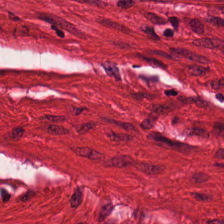Q: What is shown here?
A: It is smooth muscle.
